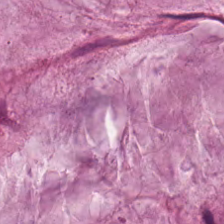H&E. Tissue type: extracellular mucin.
